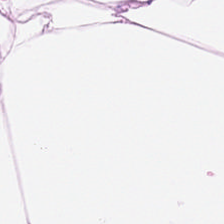224×224 px tile. Hematoxylin and eosin.
Predominant tissue: adipose tissue.
